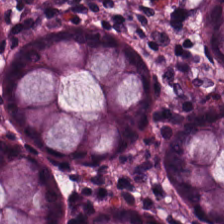Stain: hematoxylin-and-eosin stained section.
Resolution: 0.5 microns per pixel.
Tile size: 224×224 pixel tile.
Classification: normal colon mucosa.
